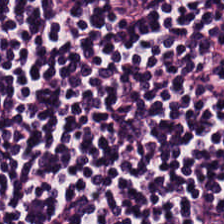H&E-stained tissue section. Finding → lymphocytic infiltrate.
